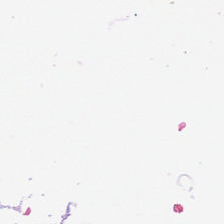Q: Classify this patch.
A: The field shows background (no tissue).
